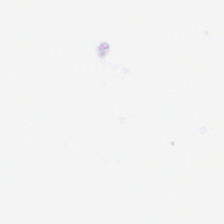No tissue present; background only.
